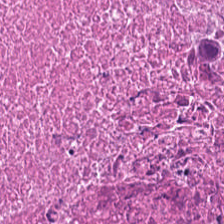Stain: H&E-stained tissue section.
Preparation: FFPE.
Predominant tissue: debris.
